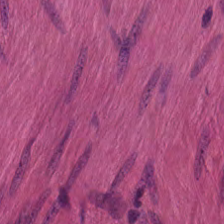H&E · brightfield microscopy · 0.5 microns per pixel — Showing smooth muscle.
